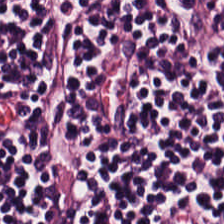Stain: hematoxylin-and-eosin stained section.
Predominant tissue: lymphocytes.
